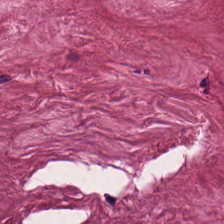WSI patch · H&E. The tissue is cancer-associated stroma.
